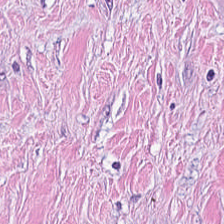Q: What tissue type is shown here?
A: It is tumor-associated stroma.
